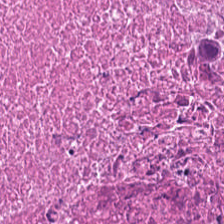H&E-stained tissue section. Q: What is shown here?
A: This is debris.
